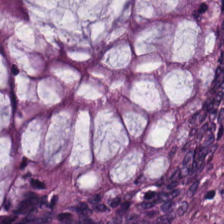Tissue = non-neoplastic colon mucosa.
